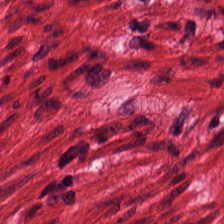Impression — muscularis.
